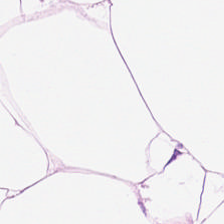Hematoxylin-and-eosin section: adipocytes.
